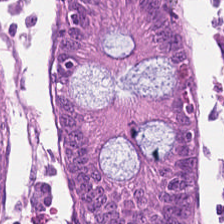Hematoxylin and eosin.
Tissue — normal colon mucosa.
